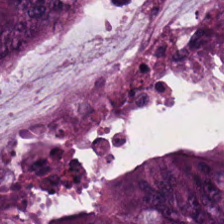The tissue is malignant epithelium.
